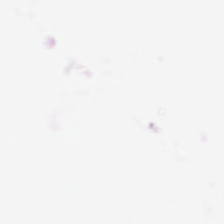{"content": "background"}
